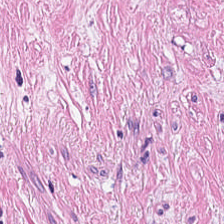Stain: H&E-stained tissue section.
Classification: desmoplastic stroma.
